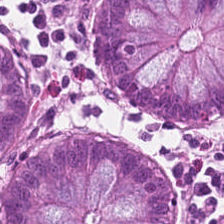Stain: hematoxylin and eosin.
Acquisition: WSI patch.
Resolution: 0.5 microns per pixel.
Tissue type: non-neoplastic colon mucosa.
